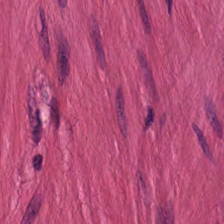Hematoxylin and eosin.
Predominantly smooth-muscle tissue.
